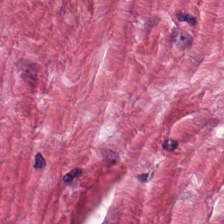H&E; whole-slide-image patch — Predominant tissue = desmoplastic stroma.
